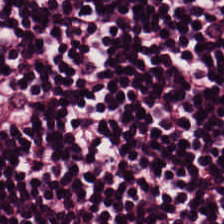Stain: H&E-stained tissue section.
Resolution: 20× equivalent magnification.
Classification: lymphoid infiltrate.
